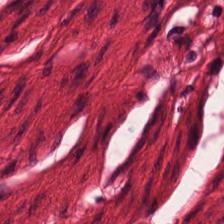Hematoxylin-and-eosin stained section — Histology — smooth muscle.
